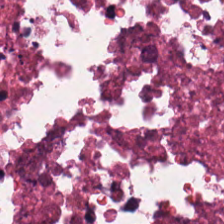H&E-stained tissue section. Q: What does this patch show?
A: The field shows debris.
